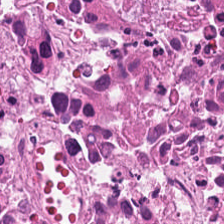H&E-stained tissue section.
The predominant tissue is cellular debris.
